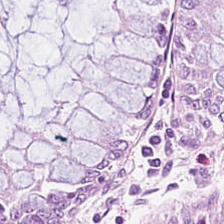Hematoxylin-and-eosin stained section.
Classification: non-neoplastic colon mucosa.
